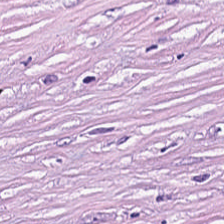Stain: hematoxylin and eosin.
Resolution: 0.5 µm/px.
Tissue class: tumor stroma.
